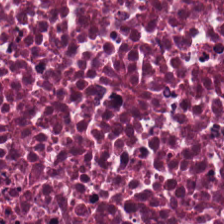This patch shows debris.
